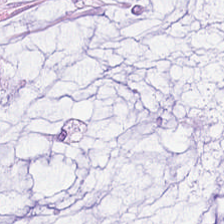H&E-stained tissue section showing extracellular mucin.
